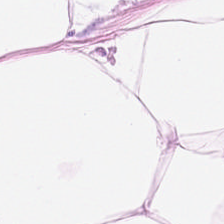Whole-slide-image patch · hematoxylin-and-eosin stained section — Q: What tissue type is shown here?
A: This is adipocytes.
